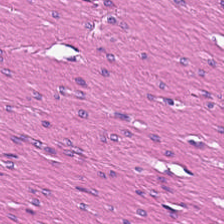H&E · FFPE · 224×224 px patch — Q: What tissue is shown?
A: It is smooth muscle.
